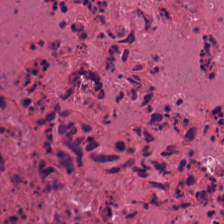H&E-stained section; the field shows debris.
